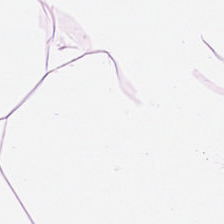Q: What does this patch show?
A: This is adipose tissue.
